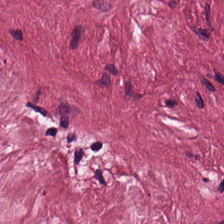Stain: hematoxylin and eosin.
Tissue: cancer-associated stroma.
